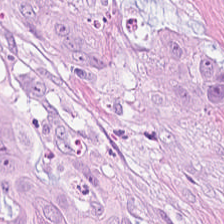Stain: hematoxylin-and-eosin stained section.
Classification: malignant epithelium.
